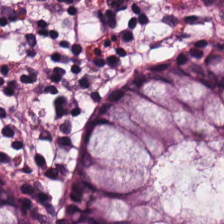Brightfield; hematoxylin and eosin; 224×224 px patch.
Tissue type = benign colonic mucosa.
